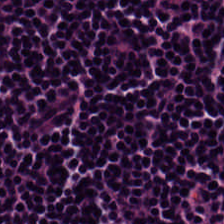The tissue type is lymphocytes.
